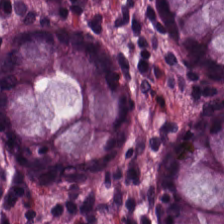Finding — normal colon mucosa.
